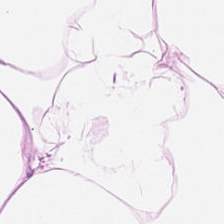Stain: hematoxylin and eosin.
Predominant tissue: adipose.
